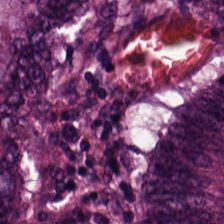224×224 pixel tile. Hematoxylin and eosin. FFPE tissue section. This field is adenocarcinoma.
